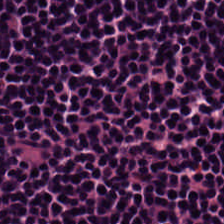The predominant tissue is lymphocytes.
